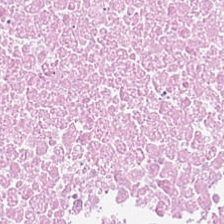H&E stain. The predominant tissue is debris.
